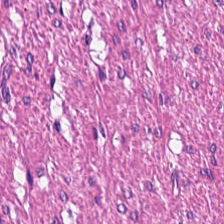224×224 px tile · hematoxylin-and-eosin stained section. The classification is muscularis.
